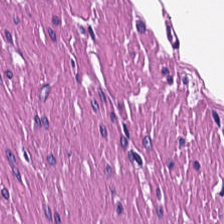0.5 µm/px · hematoxylin-and-eosin stained section. The predominant tissue is muscularis.
